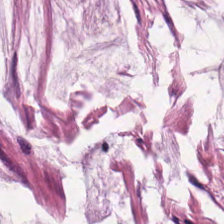Q: What type of tissue is this?
A: The field shows mucus.
